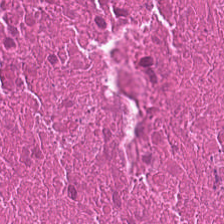Impression — necrotic debris.
